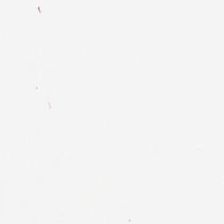H&E-stained tissue section.
Classification — background (no tissue).
